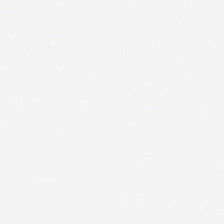Hematoxylin and eosin — Q: What does this patch show?
A: It is no tissue.
